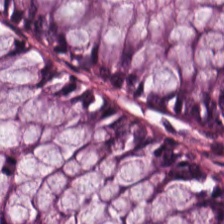Hematoxylin-and-eosin stained section · 0.5 µm/px.
Showing normal colonic mucosa.
